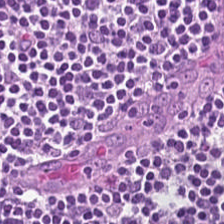Tissue = lymphoid infiltrate.
